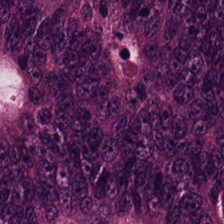{"tissue_type": "colorectal adenocarcinoma epithelium"}
